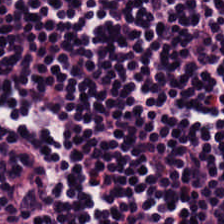H&E stain; 224×224 px tile.
This patch shows lymphocytic infiltrate.
